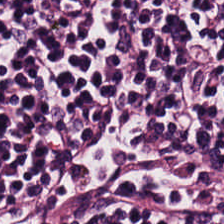Hematoxylin and eosin; 224×224 pixel tile.
Showing lymphocytes.
